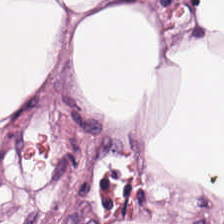H&E stain; brightfield — This field is fat tissue.
